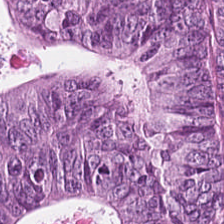H&E-stained tissue section. The classification is tumor epithelium.
